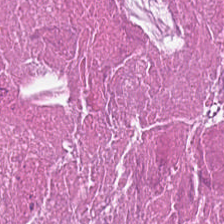Hematoxylin and eosin; 0.5 microns per pixel — Predominantly cellular debris.
